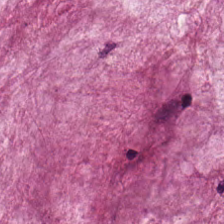Brightfield · 0.5 microns per pixel · hematoxylin and eosin — Predominant tissue: extracellular mucin.
